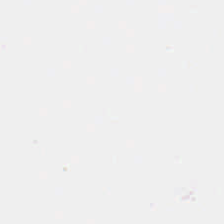H&E-stained tissue section · formalin-fixed paraffin-embedded section.
{"content": "no tissue"}
